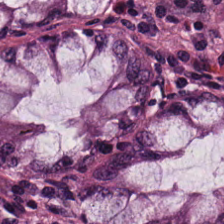This patch shows non-neoplastic colon mucosa.
